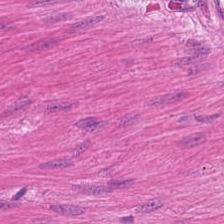224×224 px patch. H&E. {"tissue_type": "smooth-muscle tissue"}
